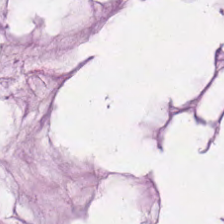Classification — mucin.
